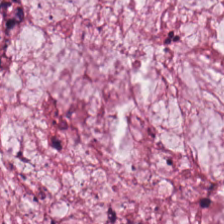H&E.
This patch shows mucin.
